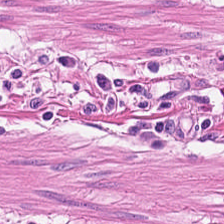Hematoxylin-and-eosin stained section. Q: What type of tissue is this?
A: This is smooth muscle.
